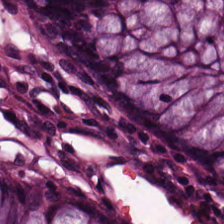H&E. The tissue here is normal colon mucosa.
